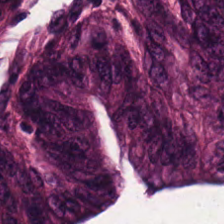Hematoxylin-and-eosin stained section — This patch shows colorectal adenocarcinoma epithelium.
